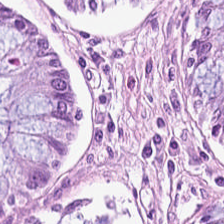0.5 µm/px. Hematoxylin and eosin.
Predominantly normal colonic mucosa.
